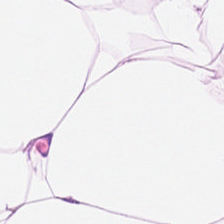Hematoxylin and eosin. 224×224 px tile. 0.5 µm per pixel. Tissue class — adipose tissue.
